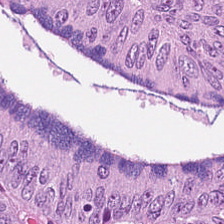Histology → colorectal adenocarcinoma.
